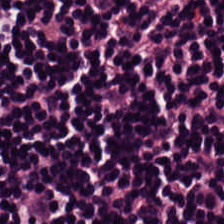Hematoxylin-and-eosin stained section — The predominant tissue is lymphocyte aggregate.
